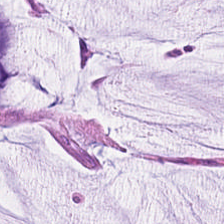FFPE tissue section. Hematoxylin-and-eosin stained section. 0.5 microns per pixel.
Showing mucus.
